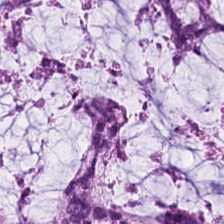H&E-stained tissue section. This field is mucus.
